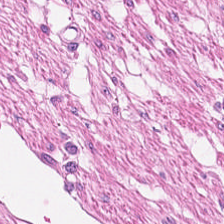Stain: hematoxylin-and-eosin stained section.
Tissue: smooth-muscle tissue.
